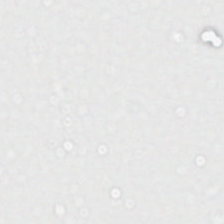Stain: H&E.
Acquisition: brightfield.
Tile size: 224×224 px patch.
Content: no tissue.
